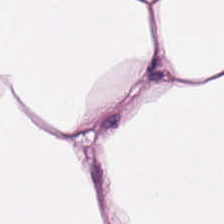H&E. Q: Identify the tissue.
A: Fat tissue.
